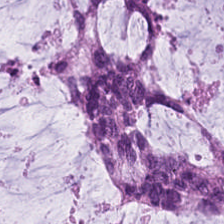Extracellular mucin.
